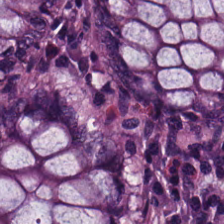H&E. This patch shows benign colonic mucosa.
